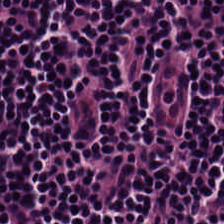H&E. Predominantly lymphocytes.
